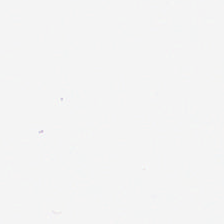Hematoxylin-and-eosin stained section — Classification — background.
